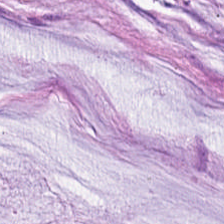H&E stain · FFPE — The predominant tissue is mucus.
